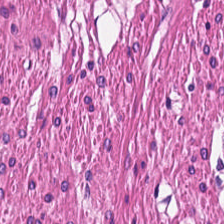Stain: H&E.
Acquisition: brightfield microscopy.
Predominant tissue: smooth muscle.
